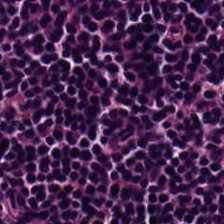H&E stain — Showing lymphoid infiltrate.
